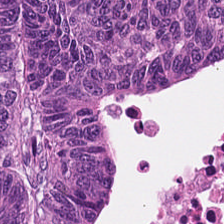H&E-stained section; the field shows tumor epithelium.
